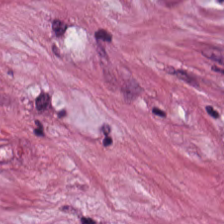H&E — Tissue type: tumor-associated stroma.
